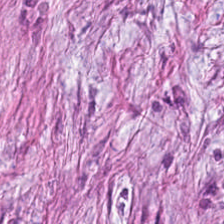FFPE tissue section. H&E stain. 0.5 µm per pixel. This patch shows desmoplastic stroma.
